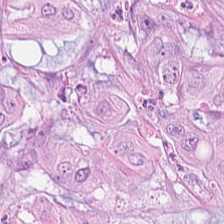Hematoxylin and eosin; FFPE tissue section; whole-slide-image patch.
This field is tumor epithelium.
